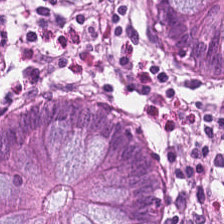H&E stain — Q: What is shown here?
A: Normal colon mucosa.
